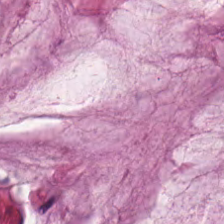Showing mucin.
